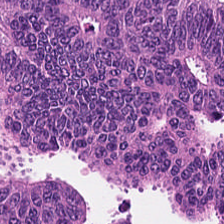Hematoxylin-and-eosin stained section.
The tissue type is adenocarcinoma.
